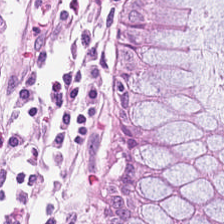Formalin-fixed paraffin-embedded section; hematoxylin-and-eosin stained section; 0.5 µm per pixel.
Non-neoplastic colon mucosa.
